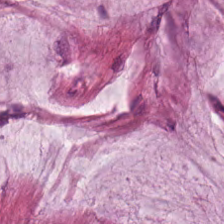H&E-stained tissue section.
This field is mucin.
